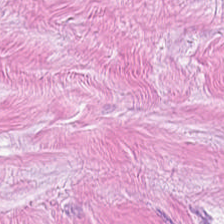H&E stain. Predominantly cancer-associated stroma.
